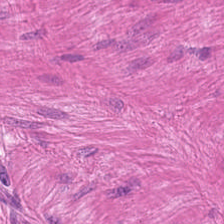0.5 µm per pixel. H&E-stained tissue section. Predominantly smooth muscle.
